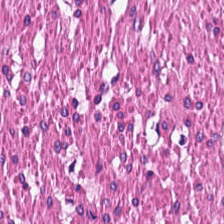Classification — smooth muscle.
